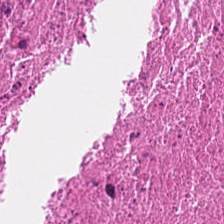Q: What type of tissue is this?
A: It is necrotic debris.
